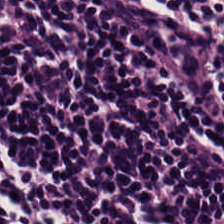Hematoxylin-and-eosin stained section — The predominant tissue is lymphoid infiltrate.
